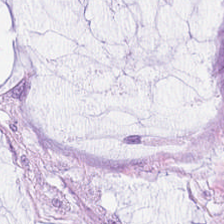Brightfield. FFPE tissue section. H&E-stained tissue section. The predominant tissue is mucus.
